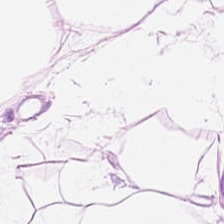H&E-stained tissue section. Formalin-fixed paraffin-embedded section. Impression → adipocytes.
